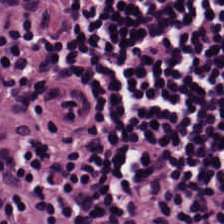H&E-stained tissue section; 224×224 px tile.
Q: Classify this patch.
A: It is lymphoid infiltrate.
